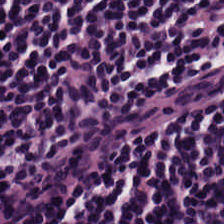Stain: H&E.
Acquisition: WSI patch.
Preparation: formalin-fixed paraffin-embedded section.
Tissue class: lymphocytic infiltrate.
